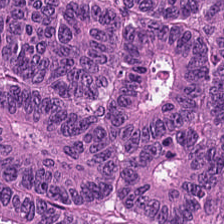FFPE · 224×224 px patch · hematoxylin and eosin — This patch shows colorectal adenocarcinoma epithelium.
